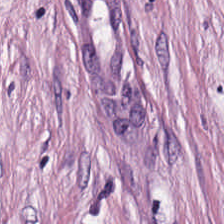224×224 px tile · H&E stain · FFPE — Classification — tumor stroma.
